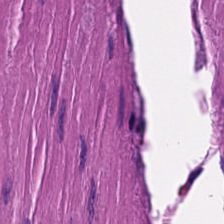Q: Classify this patch.
A: Muscularis.
